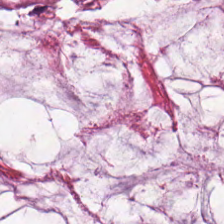H&E — Q: What is shown in this field?
A: It is mucin.
